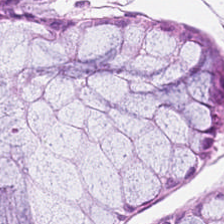The tissue class is non-neoplastic colon mucosa.
